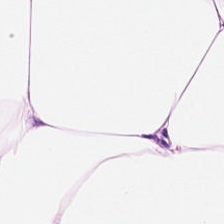H&E-stained section; the field shows adipocytes.
